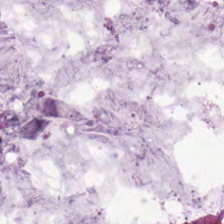Stain: H&E-stained tissue section.
Tile size: 224×224 px patch.
Tissue type: mucin.
